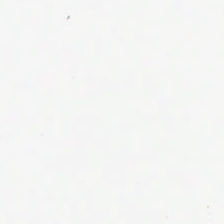FFPE tissue section; hematoxylin-and-eosin stained section; brightfield microscopy.
Empty background.
